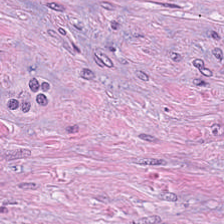Hematoxylin and eosin.
This field is tumor stroma.
